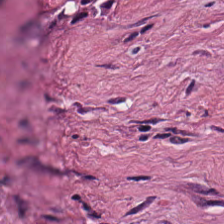Brightfield · H&E-stained tissue section. Finding → desmoplastic stroma.
